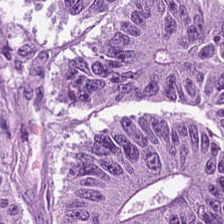0.5 microns per pixel · H&E.
Q: What is shown here?
A: This is colorectal adenocarcinoma epithelium.
